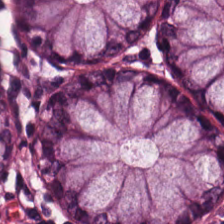FFPE tissue section · 20× equivalent magnification · H&E stain — The predominant tissue is normal colonic mucosa.
